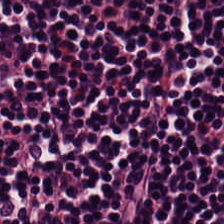Q: What tissue type is shown here?
A: The field shows lymphoid infiltrate.
